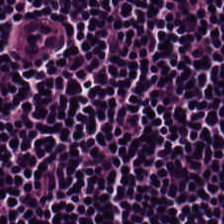H&E — Classification: lymphocyte aggregate.
